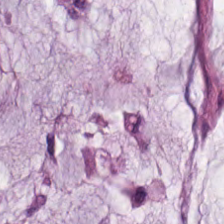H&E — mucin.
